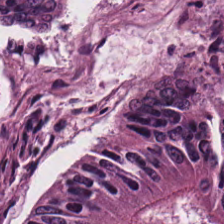Histology → adenocarcinoma.
